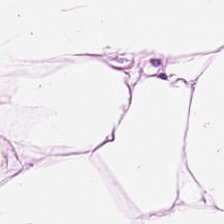Histology — adipose.
